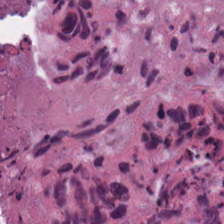H&E stain · formalin-fixed paraffin-embedded section.
The predominant tissue is debris.
